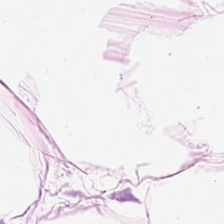0.5 microns per pixel · hematoxylin-and-eosin stained section · brightfield. Showing fat tissue.
